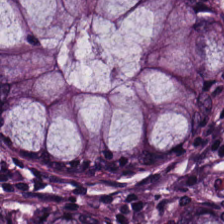Tissue type = normal colonic mucosa.
